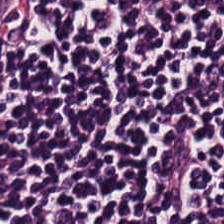H&E-stained tissue section — Lymphocytic infiltrate.
